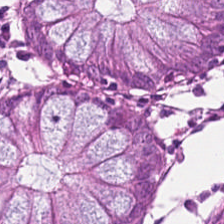Stain: H&E-stained tissue section.
Preparation: FFPE.
Resolution: 0.5 microns per pixel.
Tissue: normal colon mucosa.
